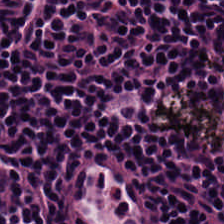Hematoxylin and eosin.
This field is lymphocytes.
